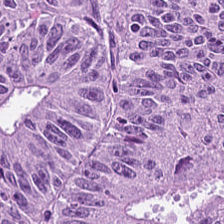H&E. Showing colorectal adenocarcinoma epithelium.
